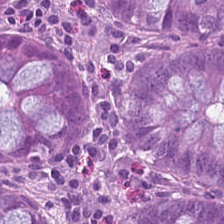H&E stain. Q: Identify the tissue.
A: Normal colon mucosa.
